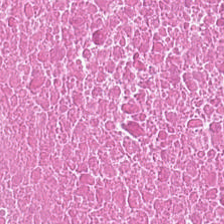Hematoxylin and eosin.
The tissue here is cellular debris.
